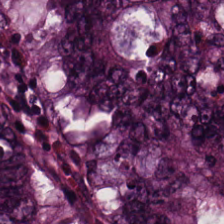H&E-stained section; the field shows adenocarcinoma.
